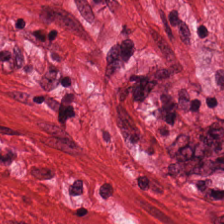FFPE tissue section. H&E.
This field is smooth-muscle tissue.
